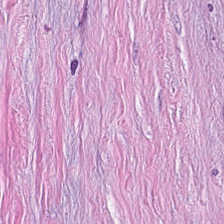Stain: H&E stain.
Preparation: formalin-fixed paraffin-embedded section.
Predominant tissue: tumor stroma.
